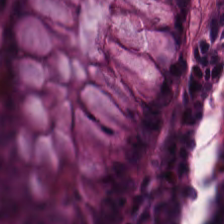Stain: H&E-stained tissue section.
Tissue: normal colonic mucosa.
